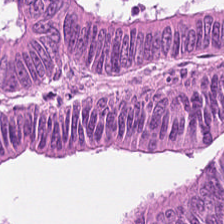H&E — malignant epithelium.
